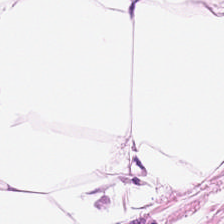H&E stain · 224×224 pixel tile · FFPE. The tissue is fat tissue.
